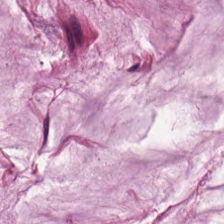H&E stain.
Tissue — mucin.
